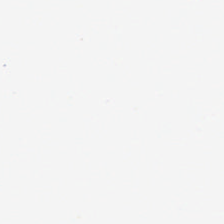H&E; 20× equivalent magnification; brightfield microscopy.
The field content is background.
